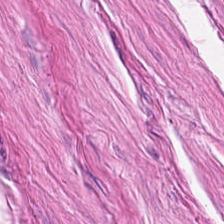0.5 µm per pixel; formalin-fixed paraffin-embedded section; H&E-stained tissue section.
Q: Classify this patch.
A: The field shows muscularis.
